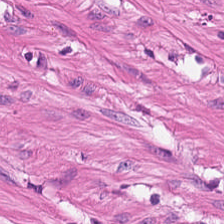H&E stain. Q: What tissue is shown?
A: This is smooth muscle.
